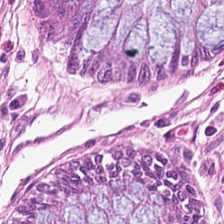Stain: H&E.
Tissue: normal colon mucosa.
